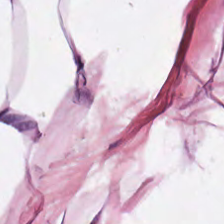0.5 µm/px · H&E stain — The tissue here is adipose.
